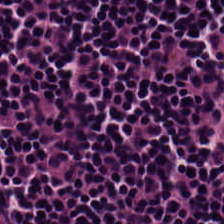H&E. 224×224 px tile.
Predominant tissue — lymphocyte aggregate.
